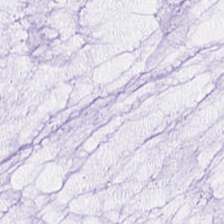Hematoxylin and eosin.
Tissue type = mucus.
